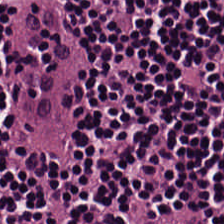Hematoxylin-and-eosin section: lymphoid infiltrate.
